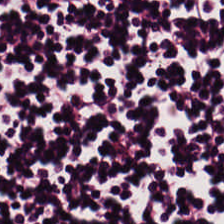H&E-stained tissue section · WSI patch · 0.5 µm/px — The predominant tissue is lymphocytes.
